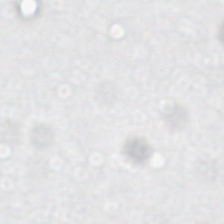Field content: no tissue.
